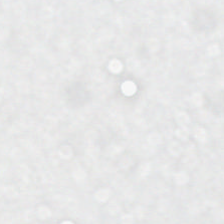H&E.
Background.
